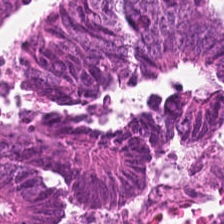Hematoxylin-and-eosin stained section. 224×224 pixel tile. The tissue is tumor epithelium.
